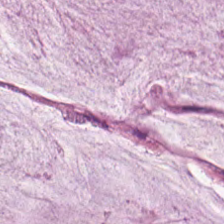224×224 px patch; hematoxylin and eosin. The tissue here is mucus.
